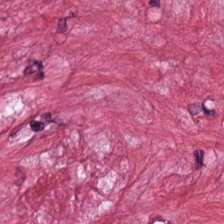H&E. 0.5 µm/px. Predominant tissue = desmoplastic stroma.
